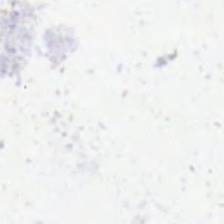Stain: H&E-stained tissue section.
Acquisition: whole-slide-image patch.
Field content: no tissue.
